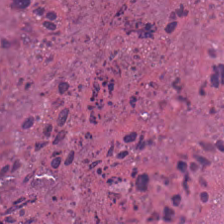FFPE. H&E stain — Showing debris.
